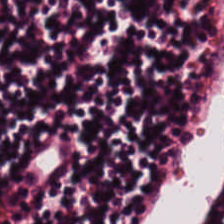The tissue here is lymphocyte aggregate.
